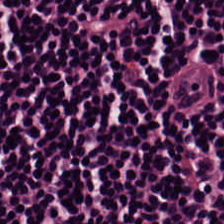Hematoxylin and eosin; 224×224 px tile. This field is lymphocytic infiltrate.
